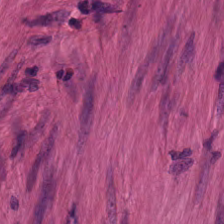Tissue type: smooth muscle.
